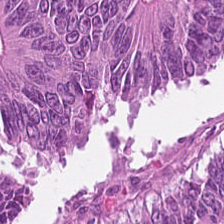Q: Classify this patch.
A: The field shows colorectal adenocarcinoma.
